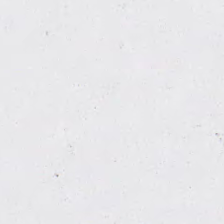224×224 px patch; hematoxylin-and-eosin stained section.
Classification = background (no tissue).
